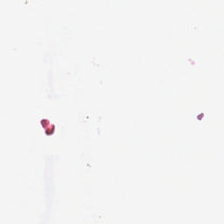Background — no tissue in this field.
